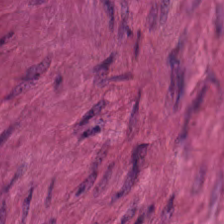224×224 px tile · H&E-stained tissue section — Tissue class: muscularis.
